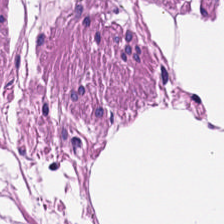{"tissue_type": "smooth-muscle tissue"}
